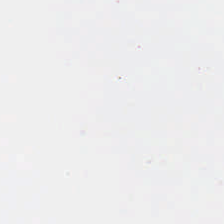Hematoxylin and eosin — Histology — background (no tissue).
